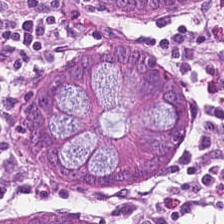Formalin-fixed paraffin-embedded section. H&E-stained tissue section — Showing benign colonic mucosa.
